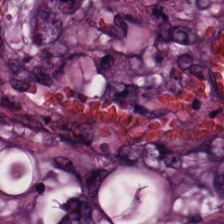The predominant tissue is malignant epithelium.
